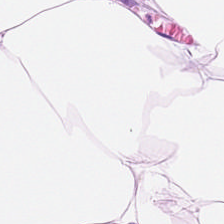Hematoxylin and eosin. The tissue here is adipocytes.
